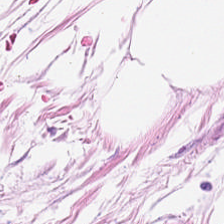This patch shows adipocytes.
